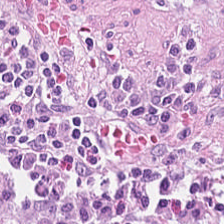Hematoxylin-and-eosin section: desmoplastic stroma.
